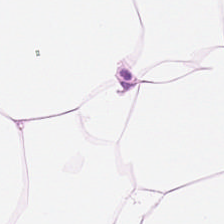Hematoxylin and eosin; FFPE tissue section; 224×224 px patch.
The predominant tissue is adipocytes.
